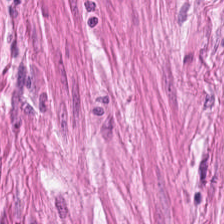H&E-stained tissue section.
This patch shows muscularis.
